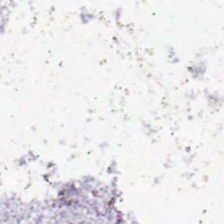Hematoxylin-and-eosin stained section.
Content: empty background.
